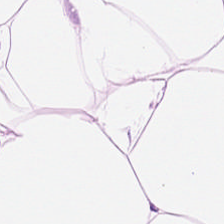Hematoxylin-and-eosin stained section. {"tissue_type": "fat tissue"}
